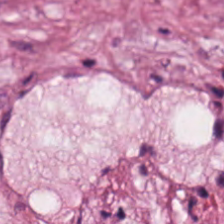Tissue: cancer-associated stroma.
